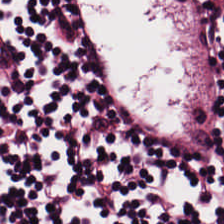Hematoxylin-and-eosin stained section. Tissue: lymphoid infiltrate.
